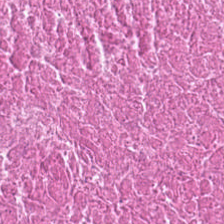Stain: hematoxylin and eosin.
Tissue: necrotic debris.
